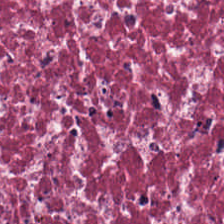Stain: hematoxylin-and-eosin stained section.
Resolution: 0.5 µm per pixel.
Predominant tissue: tumor-associated stroma.
